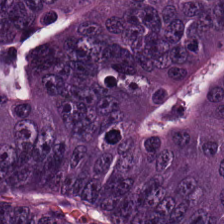WSI patch. H&E. 0.5 µm/px.
Predominant tissue = colorectal adenocarcinoma epithelium.
